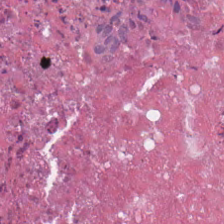H&E. Classification: necrotic debris.
